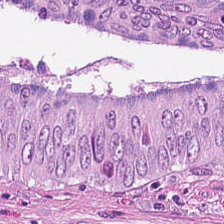Stain: hematoxylin and eosin.
Tissue type: colorectal adenocarcinoma.
